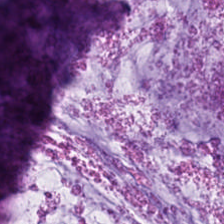Stain: H&E-stained tissue section.
Tile size: 224×224 pixel tile.
Acquisition: whole-slide-image patch.
Tissue type: mucus.
